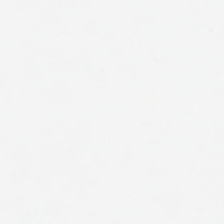224×224 pixel tile. H&E stain. 0.5 microns per pixel.
Impression → background.
